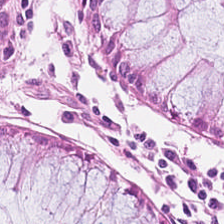Non-neoplastic colon mucosa.
